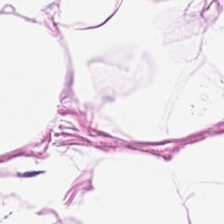FFPE tissue section; hematoxylin and eosin — The tissue is adipose.
